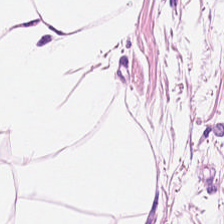H&E-stained tissue section. The predominant tissue is adipose.
